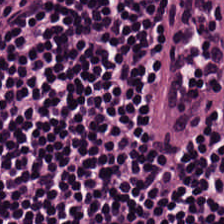H&E-stained tissue section. Q: What is the predominant tissue type?
A: The field shows lymphocyte aggregate.
